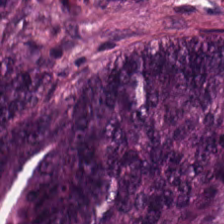Stain: H&E-stained tissue section.
Predominant tissue: malignant epithelium.
